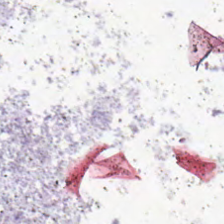No tissue present; background only.
